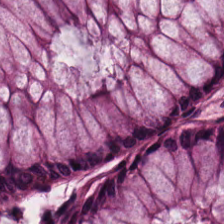Formalin-fixed paraffin-embedded section; hematoxylin-and-eosin stained section — Histology → normal colonic mucosa.
